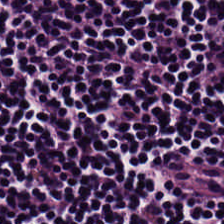Lymphocyte aggregate.
